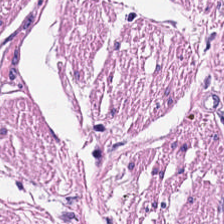FFPE · brightfield · hematoxylin and eosin — Q: Identify the tissue.
A: This is muscularis.
